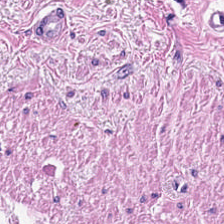Hematoxylin and eosin. Histology → muscularis.
